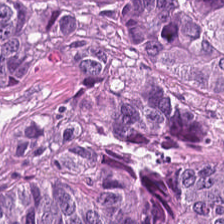Hematoxylin-and-eosin section: colorectal adenocarcinoma epithelium.
